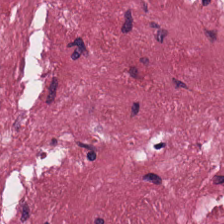H&E stain. 0.5 microns per pixel. Desmoplastic stroma.
